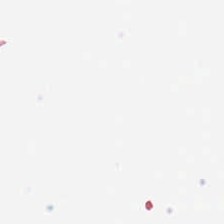H&E.
Content = background.
